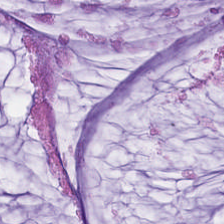Extracellular mucin.
